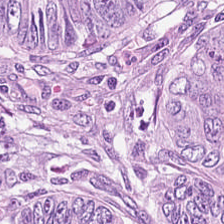H&E-stained tissue section — Predominantly colorectal adenocarcinoma.
